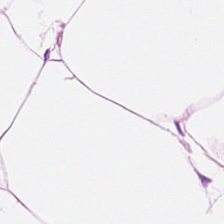Formalin-fixed paraffin-embedded section; 0.5 µm/px; hematoxylin and eosin.
Tissue — fat tissue.
